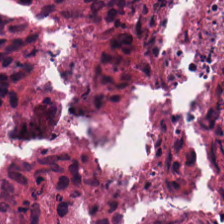H&E-stained tissue section. Histology — debris.
